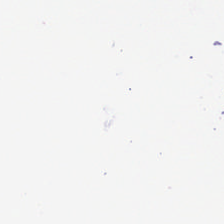Hematoxylin-and-eosin stained section. FFPE tissue section — Impression → background (no tissue).
